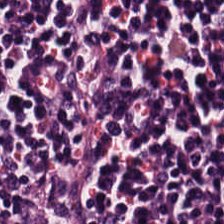Impression — lymphoid infiltrate.
